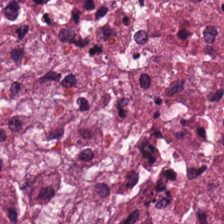H&E-stained tissue section; 0.5 µm/px. Histology → necrotic debris.
